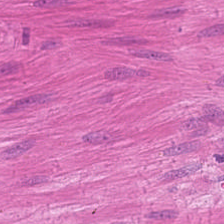224×224 pixel tile; H&E-stained tissue section.
Q: What type of tissue is this?
A: The field shows smooth-muscle tissue.
